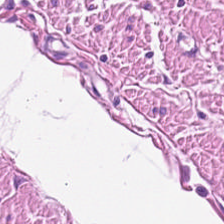H&E stain; 0.5 µm per pixel; 224×224 pixel tile — This field is smooth-muscle tissue.
